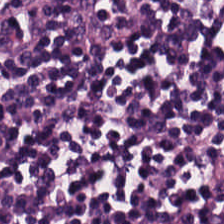Hematoxylin-and-eosin stained section. Q: What tissue is shown?
A: It is lymphocytes.
